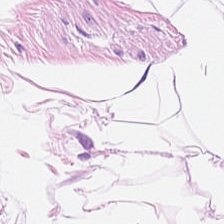0.5 microns per pixel. H&E-stained tissue section.
Finding — adipose tissue.
